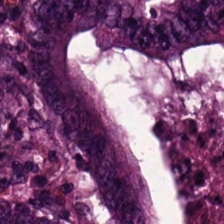Hematoxylin-and-eosin stained section.
Q: What is the predominant tissue type?
A: This is malignant epithelium.
